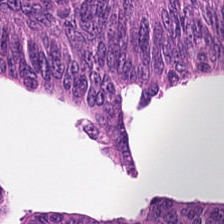Hematoxylin-and-eosin stained section — Classification = colorectal adenocarcinoma epithelium.
